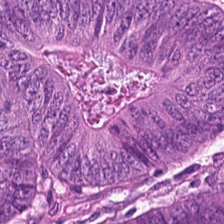H&E stain · FFPE tissue section.
Classification: colorectal adenocarcinoma epithelium.
